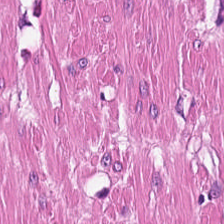This patch shows smooth muscle.
